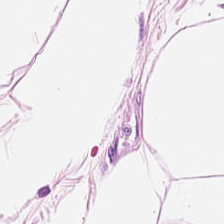H&E-stained tissue section — Classification: adipose.
